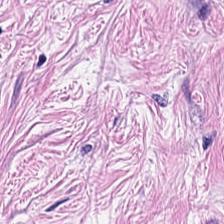Brightfield microscopy; hematoxylin-and-eosin stained section — Showing desmoplastic stroma.
